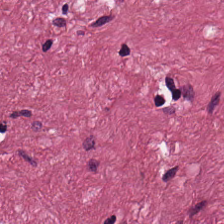Hematoxylin-and-eosin stained section.
Tissue type = cancer-associated stroma.
